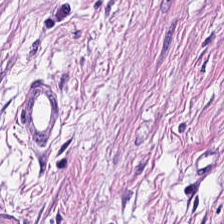Q: What tissue type is shown here?
A: The field shows muscularis.
